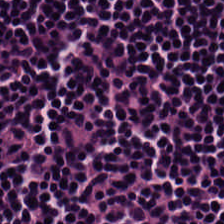H&E-stained tissue section.
Histology → lymphoid infiltrate.
